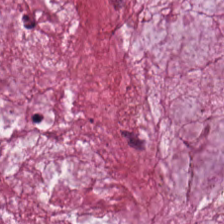Finding — mucin.
